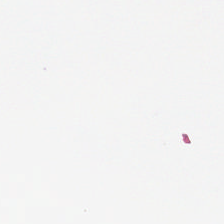FFPE; hematoxylin and eosin; 224×224 pixel tile. Field content = empty background.
